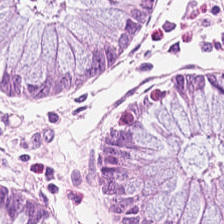Hematoxylin-and-eosin stained section. The predominant tissue is non-neoplastic colon mucosa.
